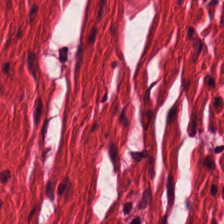H&E · formalin-fixed paraffin-embedded section · 224×224 px patch — Impression → muscularis.
